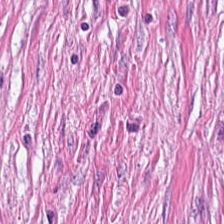Stain: H&E stain.
Tissue: cancer-associated stroma.
